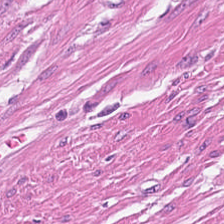Tissue: muscularis.
